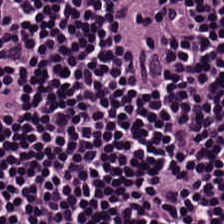Hematoxylin-and-eosin stained section.
Lymphoid infiltrate.
